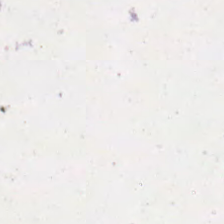Hematoxylin-and-eosin stained section. Content: no tissue.
